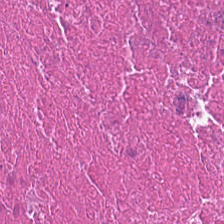Hematoxylin and eosin; FFPE tissue section; 224×224 px tile. Cellular debris.
